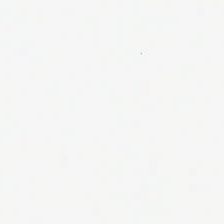Hematoxylin and eosin. This field is background (no tissue).
